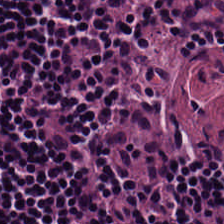Hematoxylin-and-eosin stained section. Finding → lymphoid infiltrate.
